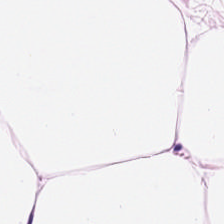Hematoxylin-and-eosin stained section.
Tissue: adipocytes.
